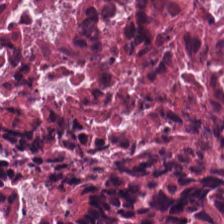Q: What does this patch show?
A: The field shows debris.
